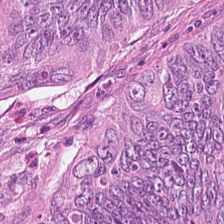Hematoxylin and eosin. Classification: adenocarcinoma.
